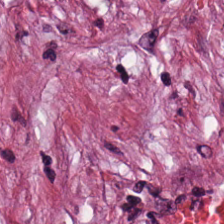Tissue: cancer-associated stroma.
